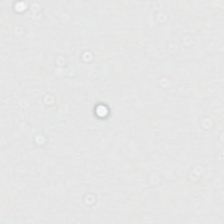Hematoxylin and eosin; FFPE tissue section.
Q: What is shown here?
A: The field shows background (no tissue).
